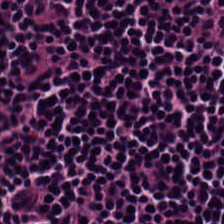H&E stain. FFPE. This field is lymphocytes.
